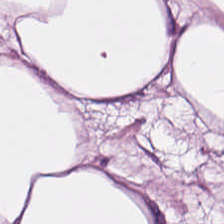Tissue class: adipocytes.
